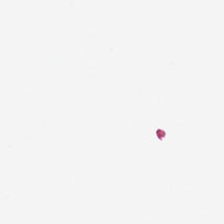H&E stain; 0.5 microns per pixel; formalin-fixed paraffin-embedded section — Impression — empty background.
